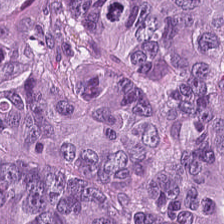Stain: hematoxylin and eosin.
Acquisition: whole-slide-image patch.
Tissue class: colorectal adenocarcinoma epithelium.
